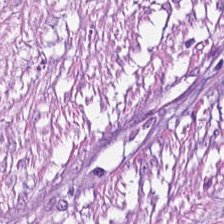FFPE · 0.5 microns per pixel · hematoxylin-and-eosin stained section. The predominant tissue is tumor stroma.
